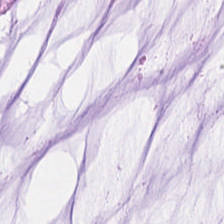Tissue class: mucus.
